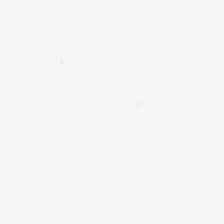224×224 pixel tile · H&E-stained tissue section.
This patch shows background (no tissue).
